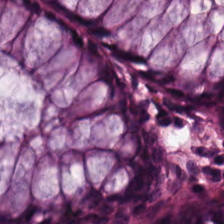H&E — The predominant tissue is benign colonic mucosa.
